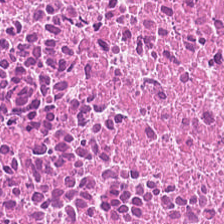H&E-stained tissue section. Debris.
